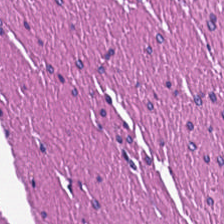20× equivalent magnification; hematoxylin and eosin — This field is smooth-muscle tissue.
